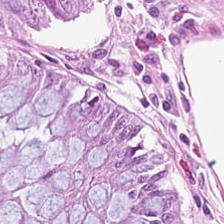Brightfield. H&E. Q: What is the predominant tissue type?
A: The field shows normal colonic mucosa.
